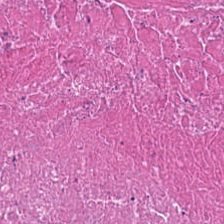Stain: H&E.
Acquisition: brightfield.
Classification: debris.
